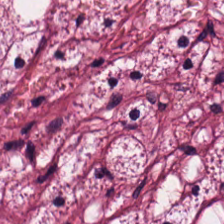Q: What does this patch show?
A: The field shows desmoplastic stroma.
